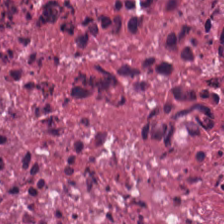Stain: hematoxylin and eosin.
Tissue: debris.
